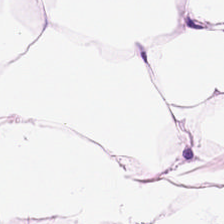Histology → adipose.
